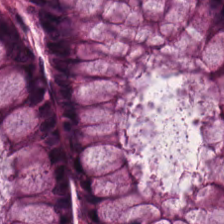WSI patch; hematoxylin-and-eosin stained section. Q: Identify the tissue.
A: Normal colonic mucosa.
